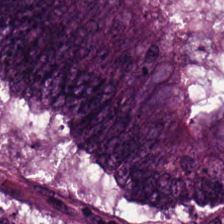0.5 µm/px; H&E stain; brightfield microscopy. Showing colorectal adenocarcinoma epithelium.
